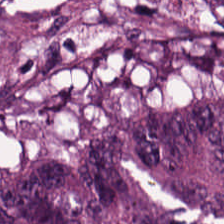Hematoxylin-and-eosin stained section; 224×224 pixel tile — Malignant epithelium.
